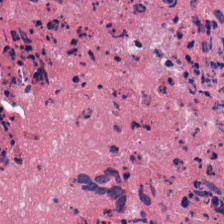The tissue type is debris.
